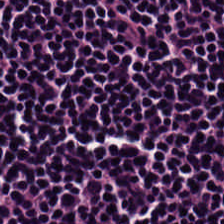H&E-stained tissue section. The predominant tissue is lymphocytic infiltrate.
